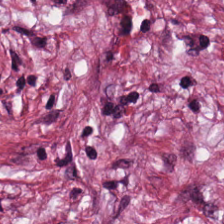Hematoxylin-and-eosin stained section; 224×224 px tile — Cancer-associated stroma.
